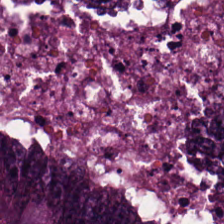20× equivalent magnification; FFPE tissue section; H&E.
Tissue type = colorectal adenocarcinoma epithelium.
